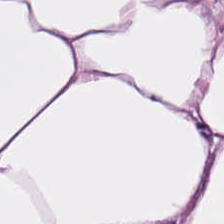Stain: H&E stain.
Classification: fat tissue.
